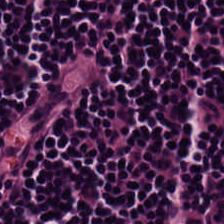H&E; formalin-fixed paraffin-embedded section. Finding → lymphocyte aggregate.
